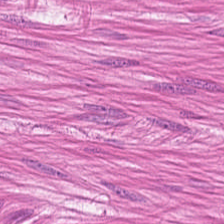Stain: H&E stain.
Tissue: smooth muscle.
